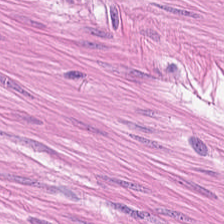Hematoxylin and eosin. FFPE. 20× equivalent magnification. This field is muscularis.
